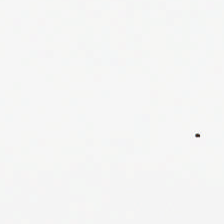224×224 px tile. Hematoxylin and eosin. Q: What is shown in this field?
A: It is no tissue.
